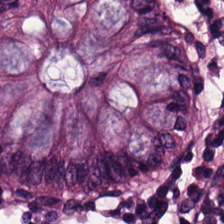H&E-stained tissue section.
Histology → benign colonic mucosa.
